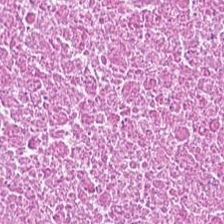20× equivalent magnification. 224×224 pixel tile. H&E-stained tissue section.
Q: What is shown here?
A: Necrotic debris.
